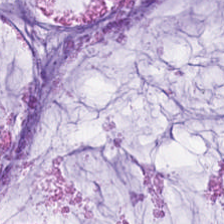FFPE tissue section. H&E stain — The predominant tissue is mucus.
